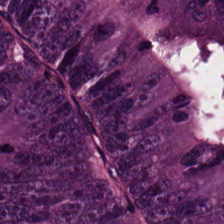0.5 microns per pixel · hematoxylin-and-eosin stained section — This patch shows colorectal adenocarcinoma epithelium.
